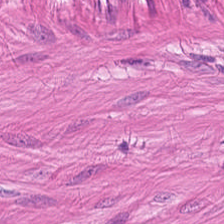H&E-stained tissue section — The predominant tissue is smooth muscle.
